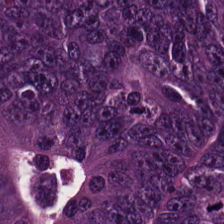Q: What tissue type is shown here?
A: Colorectal adenocarcinoma epithelium.
